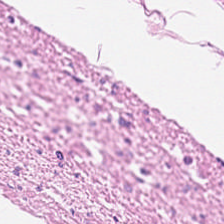H&E-stained tissue section; brightfield microscopy — This field is smooth-muscle tissue.
